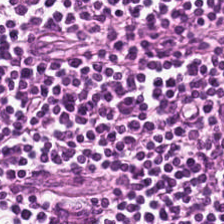H&E stain · 0.5 microns per pixel — Predominant tissue: lymphocytic infiltrate.
